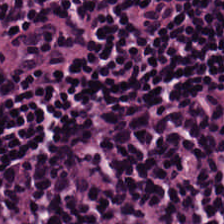Hematoxylin-and-eosin stained section · 224×224 px tile.
Q: What type of tissue is this?
A: This is lymphocytes.
